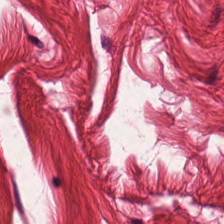H&E patch showing muscularis.
